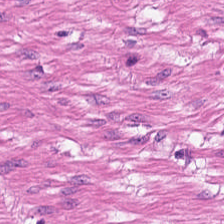224×224 px patch. FFPE tissue section. H&E stain.
Smooth-muscle tissue.
